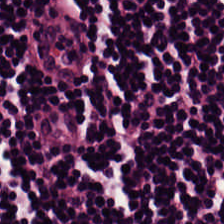Hematoxylin-and-eosin stained section. Q: What type of tissue is this?
A: This is lymphoid infiltrate.
